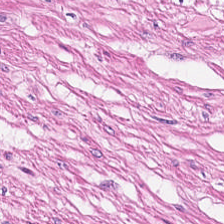20× equivalent magnification · H&E stain — Tissue class — smooth-muscle tissue.
